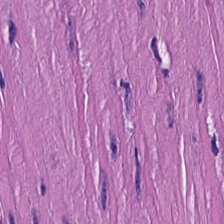Stain: hematoxylin-and-eosin stained section.
Acquisition: whole-slide-image patch.
Tissue type: muscularis.
